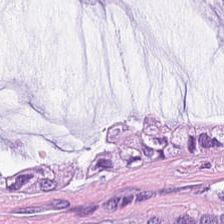H&E-stained tissue section; formalin-fixed paraffin-embedded section — Q: What tissue type is shown here?
A: Mucin.
